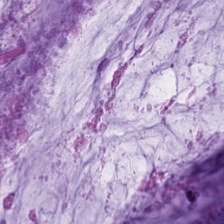Formalin-fixed paraffin-embedded section · H&E stain. Histology → extracellular mucin.
